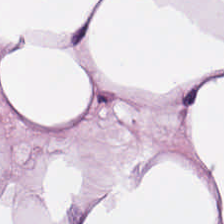Stain: H&E-stained tissue section.
Preparation: FFPE.
Classification: adipose tissue.
